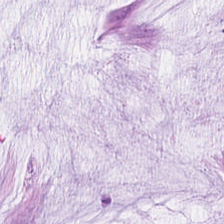Showing extracellular mucin.
